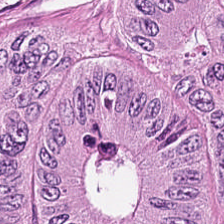H&E stain. Predominantly colorectal adenocarcinoma.
